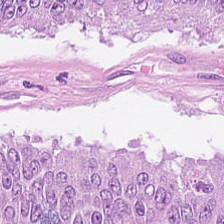Hematoxylin-and-eosin section: tumor epithelium.
